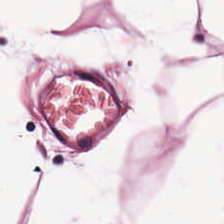Stain: hematoxylin-and-eosin stained section.
Tissue: fat tissue.
